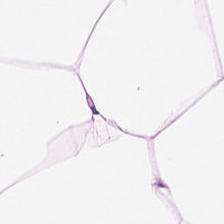Predominant tissue — adipocytes.
